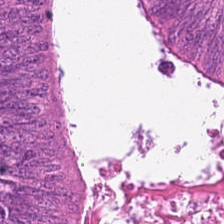H&E-stained tissue section. 224×224 pixel tile — The predominant tissue is tumor epithelium.
